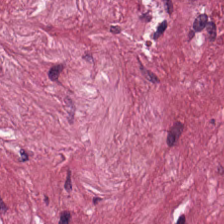224×224 pixel tile · hematoxylin-and-eosin stained section — Showing tumor-associated stroma.
